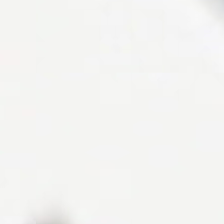Hematoxylin-and-eosin stained section — This field is background (no tissue).
